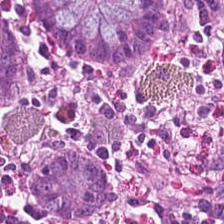WSI patch; hematoxylin-and-eosin stained section.
This field is normal colon mucosa.
